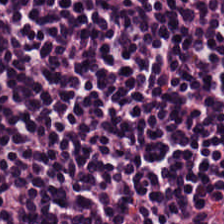Q: Identify the tissue.
A: Lymphoid infiltrate.
